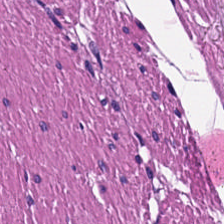H&E-stained tissue section. This field is smooth-muscle tissue.
